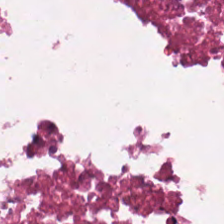FFPE tissue section · hematoxylin-and-eosin stained section.
Q: What is shown in this field?
A: The field shows cellular debris.
